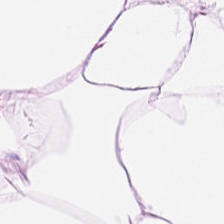Stain: H&E-stained tissue section.
Classification: adipose.
